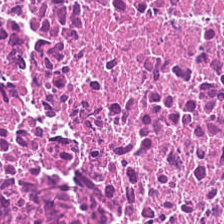Brightfield. Hematoxylin and eosin.
Q: Classify this patch.
A: The field shows necrotic debris.
